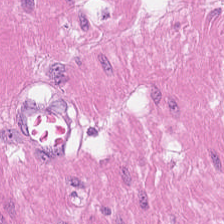Hematoxylin-and-eosin stained section. Tissue = smooth muscle.
